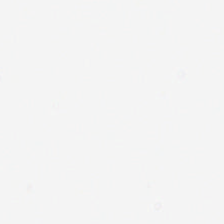H&E-stained tissue section.
Q: What does this patch show?
A: This is empty background.
